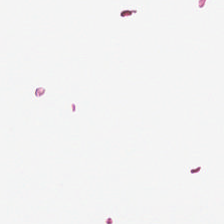Hematoxylin-and-eosin stained section. Classification: no tissue.
